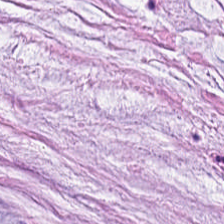FFPE tissue section. 0.5 µm per pixel. Hematoxylin-and-eosin stained section.
The tissue here is mucin.
